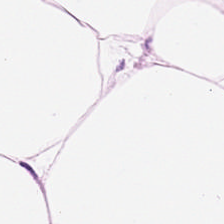Hematoxylin-and-eosin stained section; 0.5 microns per pixel — Q: What does this patch show?
A: It is adipocytes.
